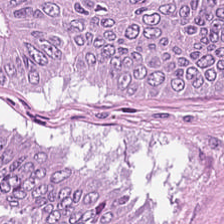Formalin-fixed paraffin-embedded section; hematoxylin and eosin; 224×224 pixel tile.
Q: Classify this patch.
A: This is colorectal adenocarcinoma epithelium.
